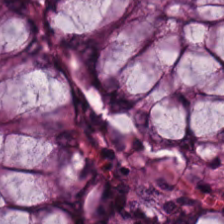Stain: H&E.
Tissue class: non-neoplastic colon mucosa.
